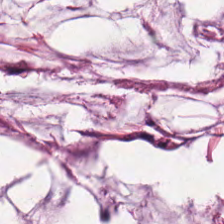Formalin-fixed paraffin-embedded section · H&E-stained tissue section · 224×224 pixel tile. Classification = extracellular mucin.
